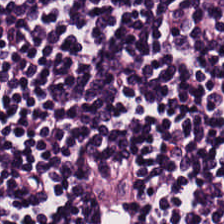0.5 µm/px · hematoxylin and eosin.
{"tissue_type": "lymphoid infiltrate"}
